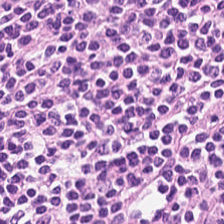Hematoxylin-and-eosin stained section.
Q: What is shown here?
A: The field shows lymphocyte aggregate.
